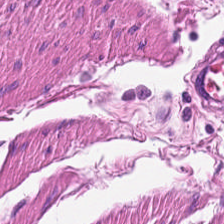Hematoxylin and eosin — Q: Identify the tissue.
A: It is smooth-muscle tissue.
